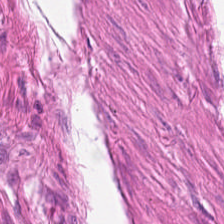H&E stain — The tissue here is muscularis.
